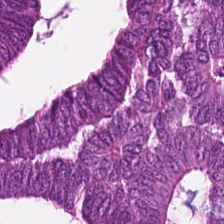H&E. Q: Classify this patch.
A: Tumor epithelium.
